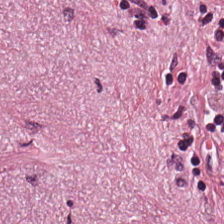WSI patch. Hematoxylin and eosin. 20× equivalent magnification.
The predominant tissue is cancer-associated stroma.
